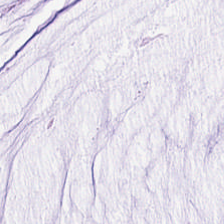H&E-stained tissue section. 20× equivalent magnification. The tissue here is extracellular mucin.
